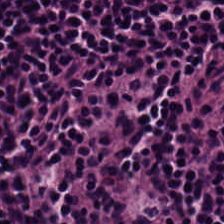H&E-stained tissue section; 224×224 px tile.
Histology → lymphocyte aggregate.
